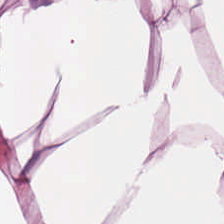Hematoxylin-and-eosin stained section — Tissue class — adipose.
